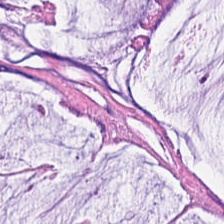H&E. FFPE. Predominantly extracellular mucin.
